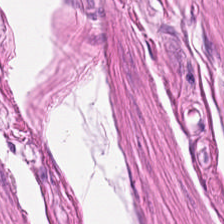Hematoxylin and eosin — Tissue class: smooth muscle.
